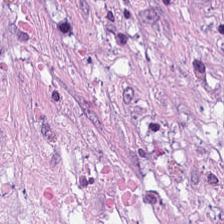Showing cancer-associated stroma.
